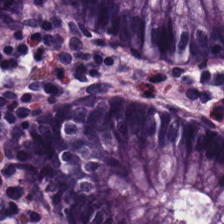0.5 µm/px. H&E. Normal colon mucosa.
